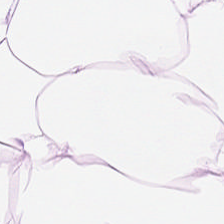H&E-stained tissue section — The predominant tissue is adipocytes.
